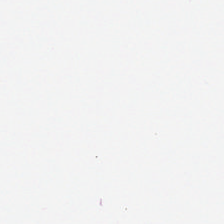Hematoxylin-and-eosin stained section.
{"content": "background (no tissue)"}
